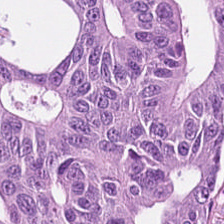H&E — Predominantly colorectal adenocarcinoma.
